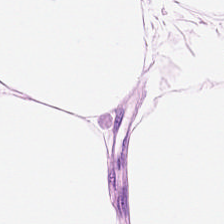0.5 microns per pixel. Hematoxylin-and-eosin stained section — Finding — adipose.
